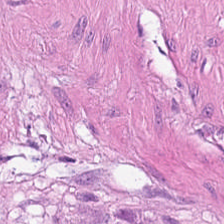Brightfield microscopy. 0.5 µm/px. Hematoxylin and eosin.
Q: What tissue type is shown here?
A: This is smooth-muscle tissue.
